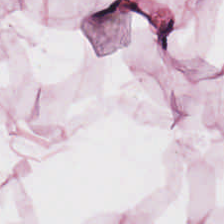Q: Identify the tissue.
A: It is adipose.
